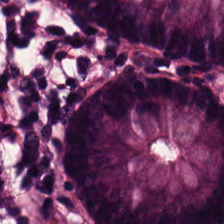Brightfield; H&E-stained tissue section. Histology — benign colonic mucosa.
